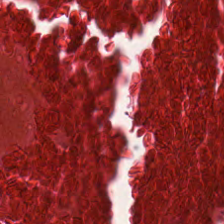Stain: H&E-stained tissue section.
Acquisition: whole-slide-image patch.
Tile size: 224×224 px patch.
Predominant tissue: debris.
